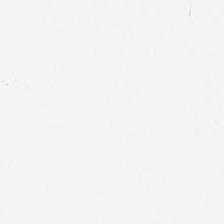H&E stain; FFPE tissue section. Field content: no tissue.
